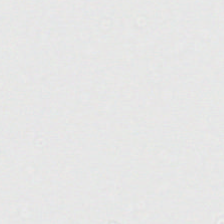224×224 px patch; hematoxylin and eosin; 0.5 µm per pixel — This field is background (no tissue).
